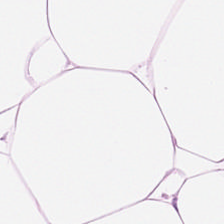Hematoxylin and eosin. Formalin-fixed paraffin-embedded section.
Q: Classify this patch.
A: The field shows fat tissue.
